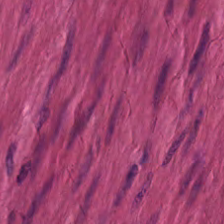{"tissue_type": "smooth muscle"}
